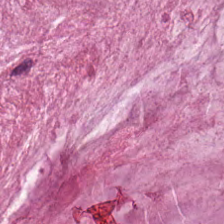Histology — mucin.
